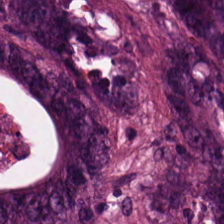Hematoxylin-and-eosin stained section · 0.5 µm/px. {"tissue_type": "malignant epithelium"}
